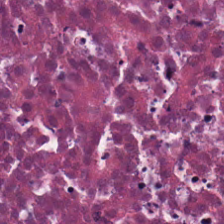Stain: hematoxylin and eosin.
Tile size: 224×224 pixel tile.
Preparation: FFPE.
Tissue type: necrotic debris.
